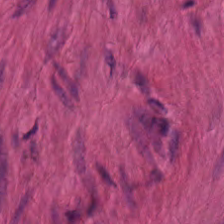Hematoxylin-and-eosin stained section. Brightfield.
The predominant tissue is smooth muscle.
